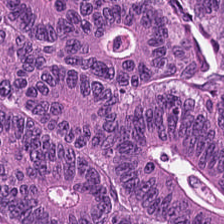Hematoxylin-and-eosin stained section. Showing adenocarcinoma.
